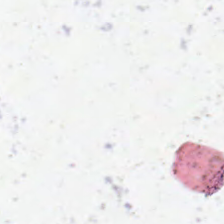H&E.
This field is background (no tissue).
